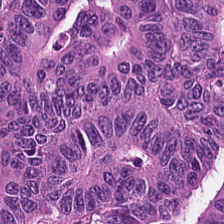Hematoxylin-and-eosin stained section. The predominant tissue is malignant epithelium.
